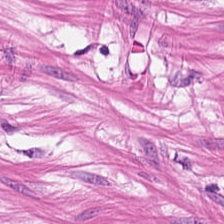H&E-stained tissue section.
Q: What is shown here?
A: This is smooth muscle.
